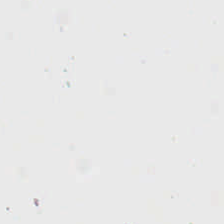H&E-stained tissue section — Field content = no tissue.
